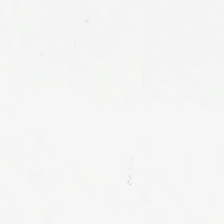FFPE tissue section; H&E stain.
Q: What is shown here?
A: Empty background.
